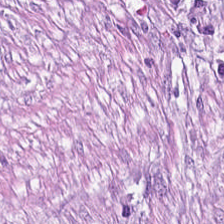Stain: hematoxylin-and-eosin stained section.
Predominant tissue: tumor stroma.
